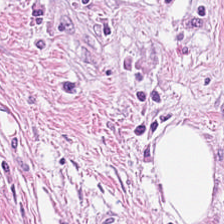Brightfield microscopy · FFPE tissue section · hematoxylin-and-eosin stained section — Predominantly tumor stroma.
